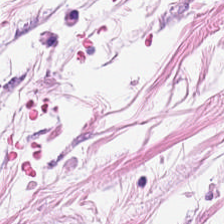H&E · WSI patch · 0.5 microns per pixel. Adipose tissue.
